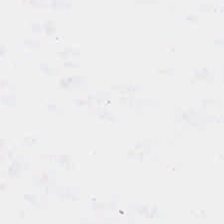Background — no tissue in this field.
